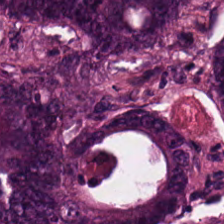Q: Identify the tissue.
A: It is adenocarcinoma.
